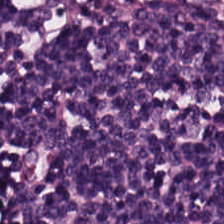H&E stain. Q: Identify the tissue.
A: Lymphocytes.
